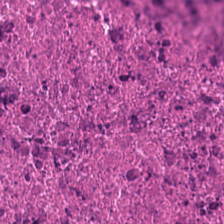H&E. Classification — cellular debris.
